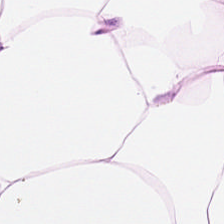224×224 px tile; H&E-stained tissue section.
The predominant tissue is adipocytes.
